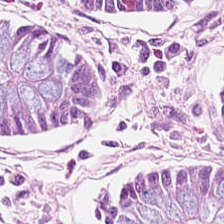Hematoxylin and eosin; formalin-fixed paraffin-embedded section; 224×224 px patch. {"tissue_type": "normal colonic mucosa"}
